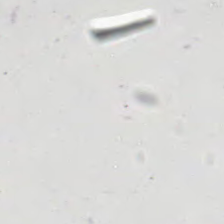H&E stain. The field content is background (no tissue).
